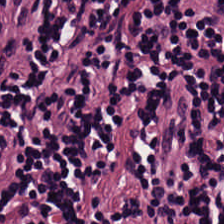Brightfield microscopy; hematoxylin-and-eosin stained section — Impression → lymphocytes.
